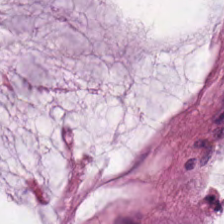0.5 microns per pixel · hematoxylin and eosin.
Q: What type of tissue is this?
A: It is mucin.
